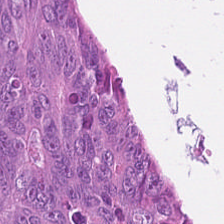H&E-stained tissue section. Malignant epithelium.
